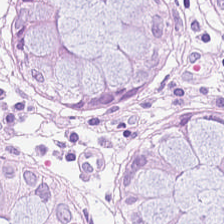Tissue class: non-neoplastic colon mucosa.
